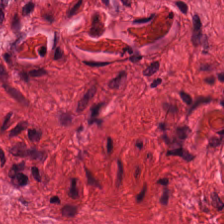H&E-stained tissue section — Tissue type — smooth-muscle tissue.
